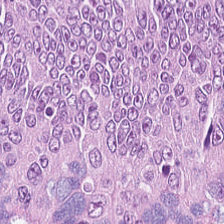H&E stain — {"tissue_type": "colorectal adenocarcinoma epithelium"}
